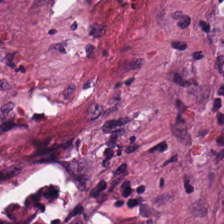Hematoxylin and eosin. Brightfield. The predominant tissue is desmoplastic stroma.
